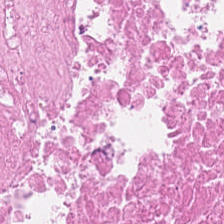Showing cellular debris.
